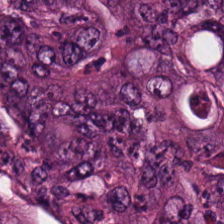Brightfield; H&E.
The classification is colorectal adenocarcinoma epithelium.
